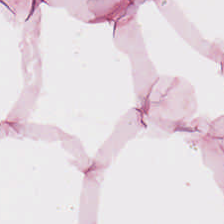This field is adipocytes.
